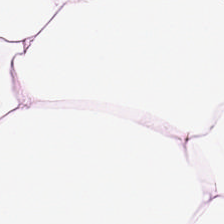Hematoxylin-and-eosin stained section · 224×224 px tile.
Finding — fat tissue.
